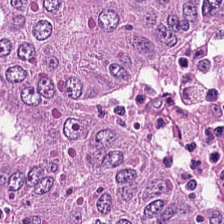H&E stain.
Adenocarcinoma.
